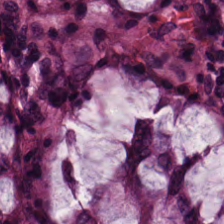Finding → normal colon mucosa.
